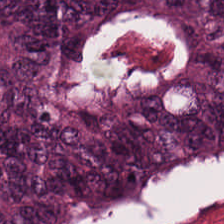Hematoxylin and eosin · 20× equivalent magnification — {"tissue_type": "tumor epithelium"}
